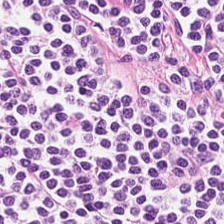FFPE · hematoxylin and eosin — The tissue class is lymphocytes.
